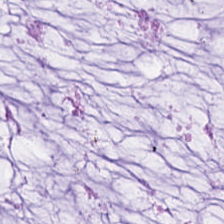H&E-stained tissue section. Classification: mucin.
